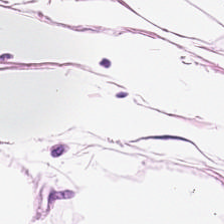Stain: H&E stain.
Preparation: formalin-fixed paraffin-embedded section.
Classification: adipocytes.
